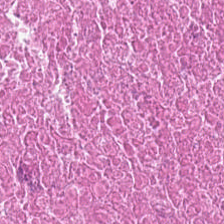0.5 microns per pixel · H&E — Showing cellular debris.
